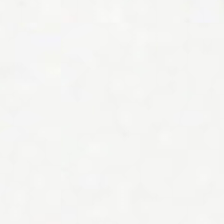Stain: H&E-stained tissue section.
Field content: no tissue.
